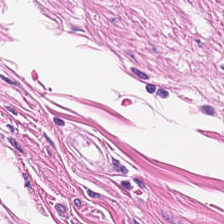H&E patch showing muscularis.
